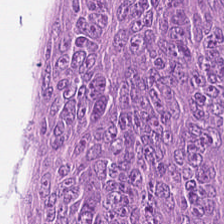0.5 µm per pixel. H&E-stained tissue section. Classification — tumor epithelium.
